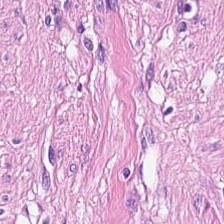Tissue class = smooth-muscle tissue.
